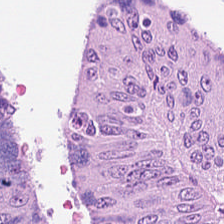{"tissue_type": "tumor epithelium"}
